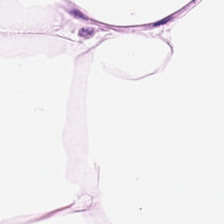224×224 px patch. H&E.
Histology → adipose.
